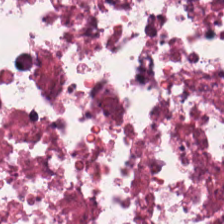0.5 µm per pixel; H&E — Tissue class = cellular debris.
